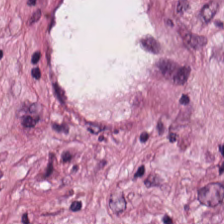WSI patch; hematoxylin and eosin.
This field is tumor-associated stroma.
